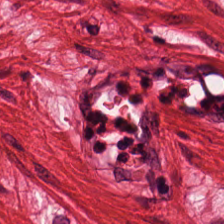224×224 pixel tile · hematoxylin and eosin. Histology → smooth-muscle tissue.
